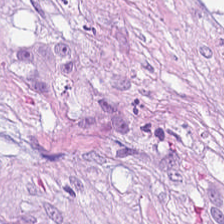Q: What is shown in this field?
A: It is extracellular mucin.
